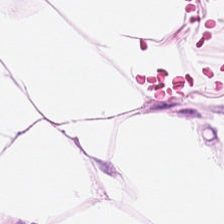H&E-stained tissue section. This field is adipocytes.
